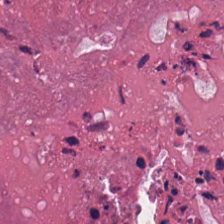H&E stain.
Predominantly cellular debris.
